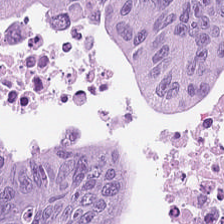Brightfield microscopy; H&E — This patch shows tumor epithelium.
